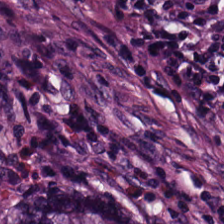H&E patch showing benign colonic mucosa.
